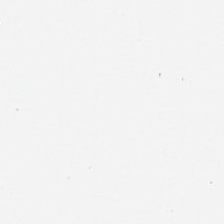0.5 microns per pixel · H&E-stained tissue section · whole-slide-image patch — Histology → empty background.
